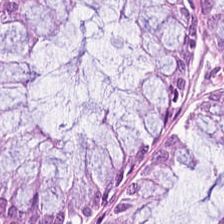H&E-stained tissue section showing benign colonic mucosa.
